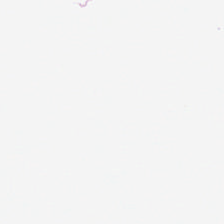H&E-stained tissue section; formalin-fixed paraffin-embedded section; brightfield microscopy — Classification — background (no tissue).
